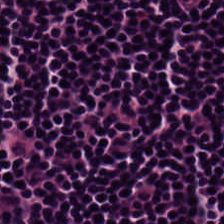H&E stain. 20× equivalent magnification. FFPE tissue section.
Histology → lymphocytes.
